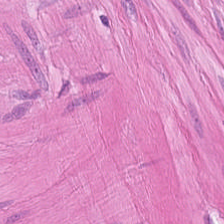FFPE. Brightfield microscopy. H&E stain.
Predominantly smooth muscle.
